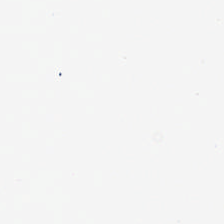Brightfield; H&E-stained tissue section. The field content is background (no tissue).
